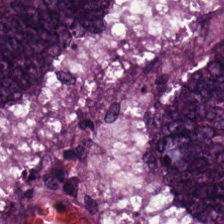224×224 px patch · hematoxylin-and-eosin stained section. The tissue here is colorectal adenocarcinoma.
